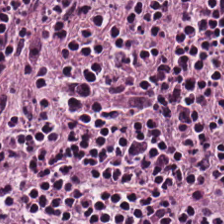Hematoxylin and eosin. The predominant tissue is lymphoid infiltrate.
